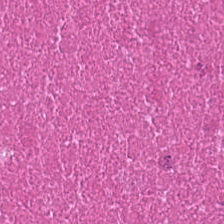Hematoxylin and eosin. Q: What is shown in this field?
A: Necrotic debris.
